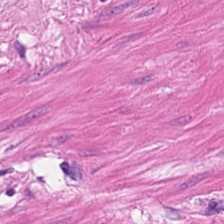Stain: hematoxylin-and-eosin stained section.
Predominant tissue: smooth-muscle tissue.
